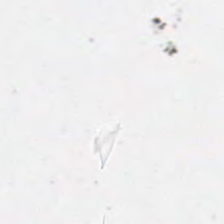H&E — Content = no tissue.
